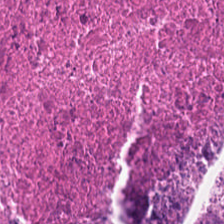H&E. 224×224 px patch. {"tissue_type": "debris"}
